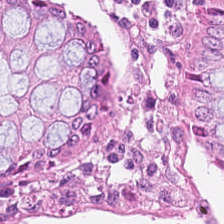Hematoxylin-and-eosin stained section.
Q: What is the predominant tissue type?
A: Normal colon mucosa.
